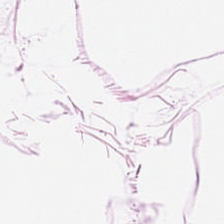The tissue class is adipose tissue.
